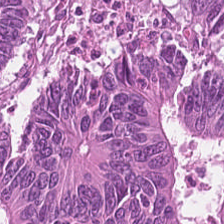FFPE · hematoxylin-and-eosin stained section · 0.5 µm/px — The predominant tissue is adenocarcinoma.
